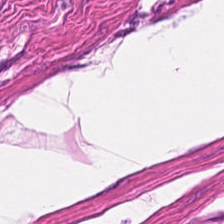H&E-stained tissue section · WSI patch. Predominant tissue: smooth-muscle tissue.
